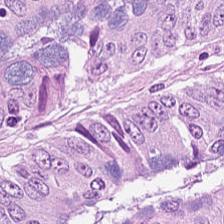H&E stain — This patch shows colorectal adenocarcinoma.
